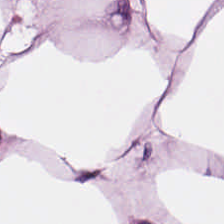This field is adipocytes.
